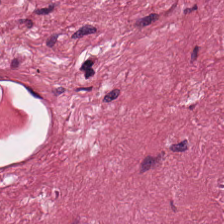H&E stain. Q: What is shown here?
A: The field shows desmoplastic stroma.
